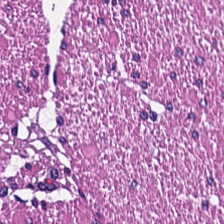Hematoxylin-and-eosin stained section; 224×224 pixel tile — Smooth-muscle tissue.
